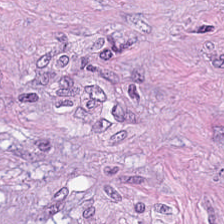WSI patch · H&E stain.
Q: Classify this patch.
A: It is tumor-associated stroma.
